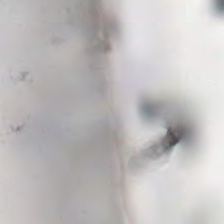Stain: H&E stain.
Field content: no tissue.
